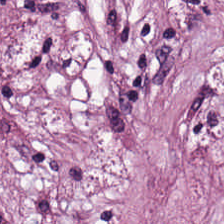Hematoxylin and eosin. FFPE tissue section.
Predominant tissue — tumor stroma.
